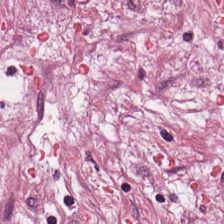Stain: hematoxylin and eosin.
Tile size: 224×224 px patch.
Resolution: 0.5 µm/px.
Tissue type: cancer-associated stroma.
